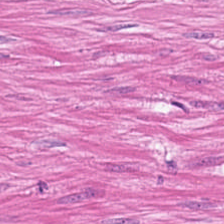This patch shows smooth muscle.
